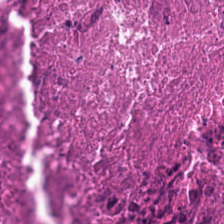Brightfield; hematoxylin-and-eosin stained section; 20× equivalent magnification.
Q: What type of tissue is this?
A: The field shows cellular debris.
